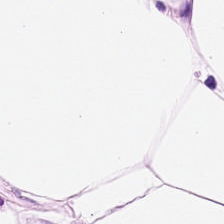Classification: fat tissue.
